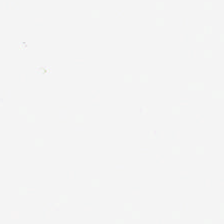0.5 µm/px · H&E stain. This patch shows no tissue.
